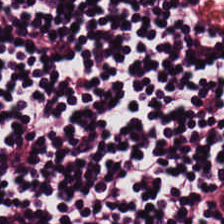Predominant tissue: lymphocytic infiltrate.
